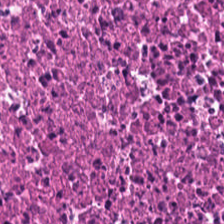Hematoxylin and eosin.
Tissue type — necrotic debris.
